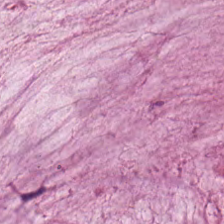H&E-stained tissue section · brightfield microscopy.
The tissue is mucin.
